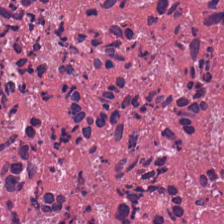Hematoxylin and eosin · FFPE. Finding — cellular debris.
